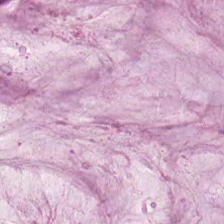Hematoxylin-and-eosin stained section.
Q: What does this patch show?
A: Extracellular mucin.
